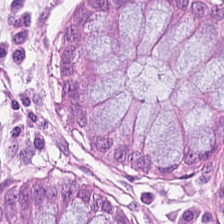H&E — Impression — benign colonic mucosa.
